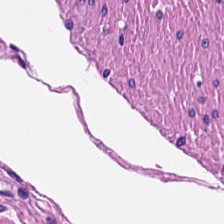H&E; WSI patch. Q: What tissue type is shown here?
A: Smooth-muscle tissue.
